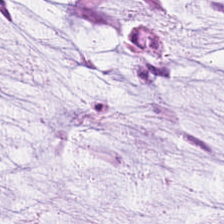224×224 px patch. Hematoxylin and eosin. 0.5 µm per pixel. Tissue type = mucus.
